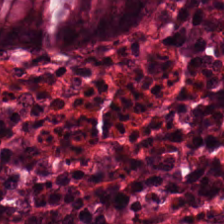H&E-stained tissue section. The predominant tissue is benign colonic mucosa.
